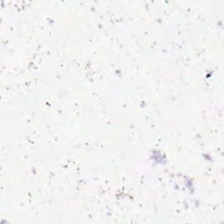Histology — no tissue.
